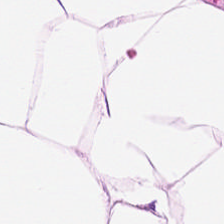WSI patch; formalin-fixed paraffin-embedded section; H&E stain. Q: What is the predominant tissue type?
A: The field shows adipocytes.
